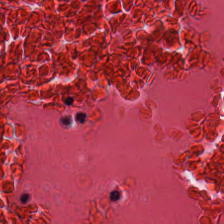Predominant tissue: debris.
